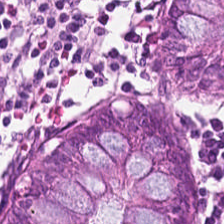H&E.
The tissue here is normal colonic mucosa.
